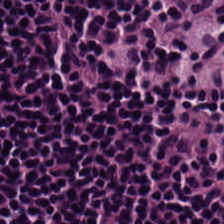Finding — lymphocytic infiltrate.
